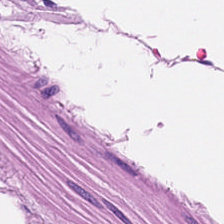FFPE · hematoxylin and eosin · 224×224 px patch — This field is smooth-muscle tissue.
